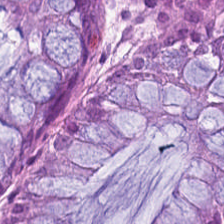Stain: H&E-stained tissue section.
Preparation: FFPE.
Acquisition: brightfield.
Predominant tissue: non-neoplastic colon mucosa.
